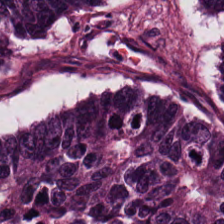H&E-stained tissue section. The predominant tissue is colorectal adenocarcinoma epithelium.
